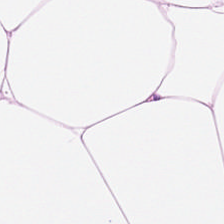224×224 px tile. 0.5 microns per pixel. Hematoxylin-and-eosin stained section.
Classification: adipose.
